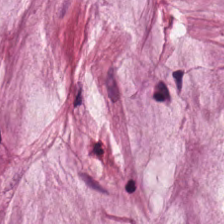The predominant tissue is extracellular mucin.
